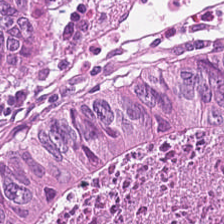H&E. Predominantly colorectal adenocarcinoma epithelium.
